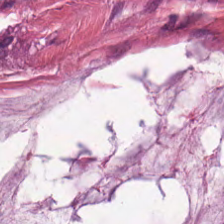Hematoxylin-and-eosin stained section. This field is mucus.
